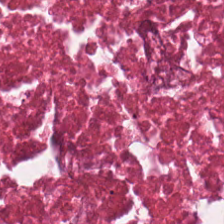H&E stain; whole-slide-image patch.
The tissue type is debris.
